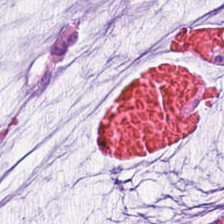H&E stain; FFPE tissue section.
{"tissue_type": "mucin"}
